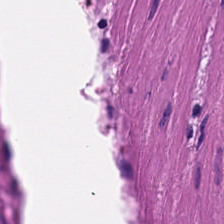Tissue = muscularis.
